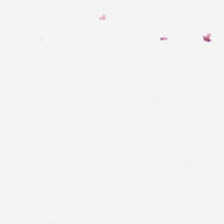H&E-stained tissue section; whole-slide-image patch; FFPE — This field is background (no tissue).
